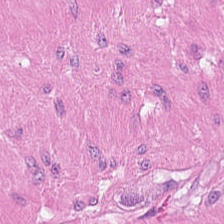H&E stain. Classification = smooth-muscle tissue.
